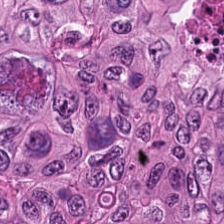H&E — Q: What is the predominant tissue type?
A: The field shows tumor epithelium.
